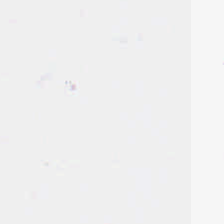Hematoxylin and eosin. Q: What does this patch show?
A: It is empty background.
